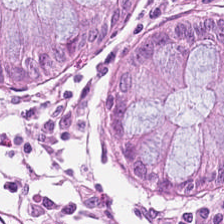Q: What type of tissue is this?
A: It is normal colon mucosa.
